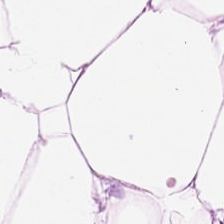Hematoxylin-and-eosin stained section — Q: Classify this patch.
A: This is fat tissue.
